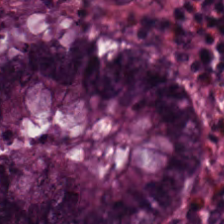H&E.
Showing normal colon mucosa.
